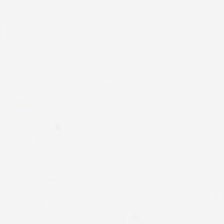Hematoxylin-and-eosin stained section — No tissue present; background only.
